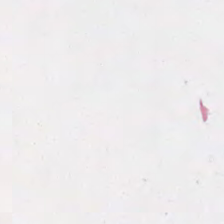Brightfield microscopy; hematoxylin-and-eosin stained section.
Background (no tissue).
